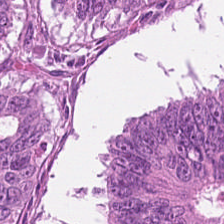0.5 µm/px · 224×224 px tile · H&E stain.
Predominant tissue = tumor epithelium.
